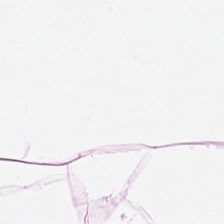H&E — adipose tissue.
